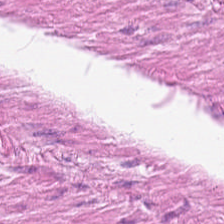0.5 µm/px; hematoxylin and eosin; brightfield. {"tissue_type": "smooth muscle"}
